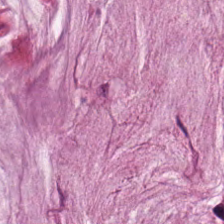Hematoxylin and eosin — The tissue here is mucus.
